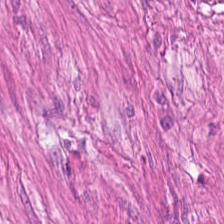Hematoxylin-and-eosin stained section. FFPE.
This field is muscularis.
